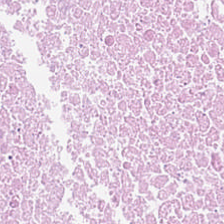The predominant tissue is cellular debris.
